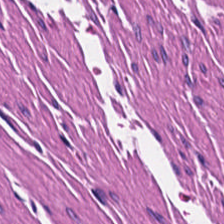Hematoxylin and eosin.
This field is smooth-muscle tissue.
